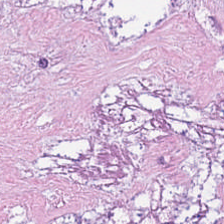H&E. The predominant tissue is debris.
